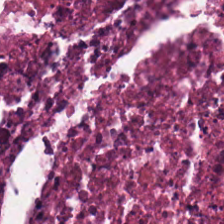H&E-stained tissue section — The tissue is debris.
